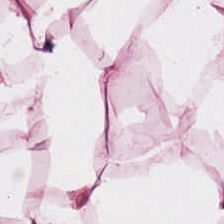Hematoxylin and eosin. FFPE tissue section — The tissue is fat tissue.
